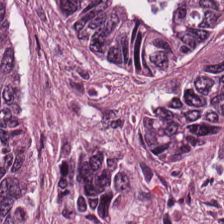Predominant tissue: malignant epithelium.
